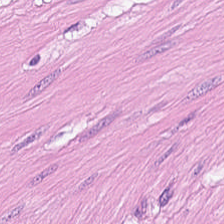Brightfield microscopy; hematoxylin and eosin — The predominant tissue is muscularis.
